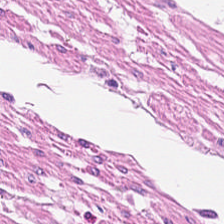Stain: H&E.
Acquisition: WSI patch.
Tissue class: smooth-muscle tissue.
